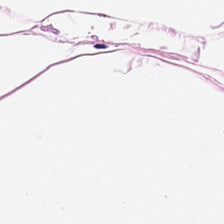Q: What does this patch show?
A: It is fat tissue.
